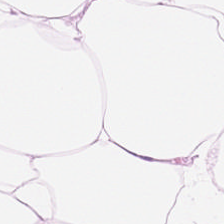Hematoxylin and eosin. Impression — adipose tissue.
